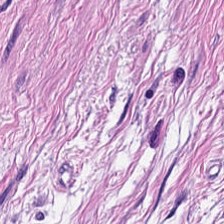Q: What is shown in this field?
A: Muscularis.
